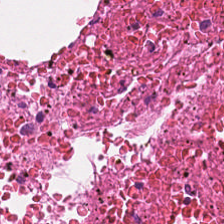H&E-stained tissue section.
The tissue here is necrotic debris.
